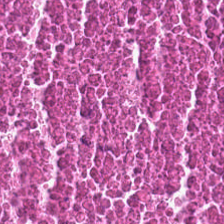224×224 pixel tile. H&E — {"tissue_type": "cellular debris"}
